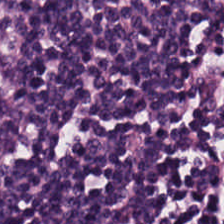H&E-stained tissue section. Tissue: lymphoid infiltrate.
